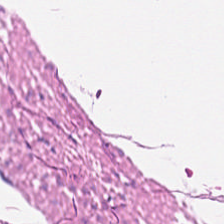H&E-stained tissue section — {"tissue_type": "muscularis"}
